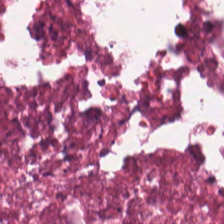H&E.
The tissue here is debris.
